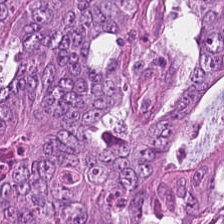Hematoxylin-and-eosin stained section — Tissue class: malignant epithelium.
